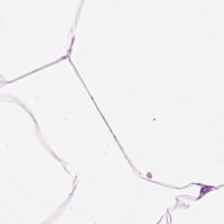H&E. WSI patch. The tissue here is adipocytes.
